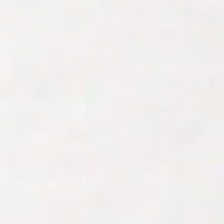No tissue present; background only.
